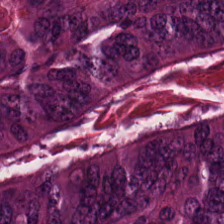Hematoxylin and eosin. FFPE tissue section. WSI patch.
This field is colorectal adenocarcinoma.
